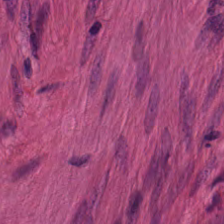Hematoxylin-and-eosin stained section. 224×224 px tile. 0.5 µm per pixel — {"tissue_type": "smooth-muscle tissue"}
